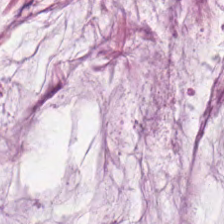Predominant tissue: mucus.
